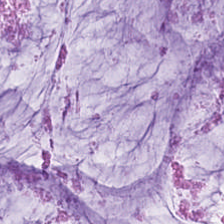{"tissue_type": "mucus"}
